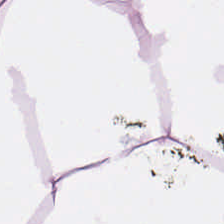Finding → fat tissue.
